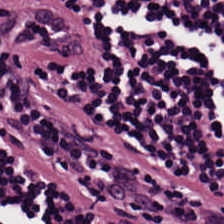224×224 pixel tile; hematoxylin-and-eosin stained section.
Q: What type of tissue is this?
A: This is lymphocytes.
